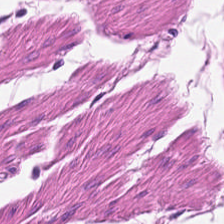H&E. The predominant tissue is smooth muscle.
